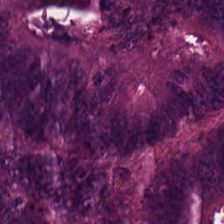H&E-stained tissue section · 20× equivalent magnification.
Tissue type — colorectal adenocarcinoma.
